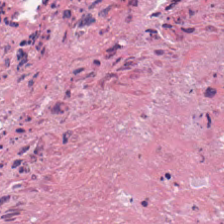Tissue class = necrotic debris.
